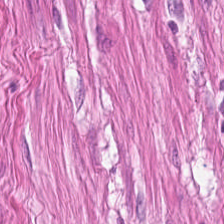Smooth muscle.
